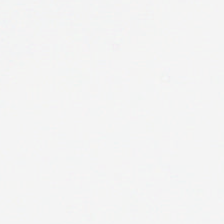Content = background (no tissue).
